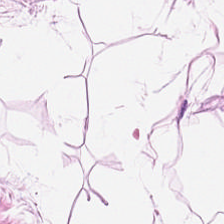224×224 px tile · 0.5 µm per pixel · hematoxylin and eosin — This patch shows adipocytes.
